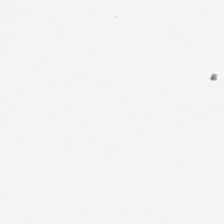Hematoxylin and eosin; 224×224 px tile. Classification = no tissue.
